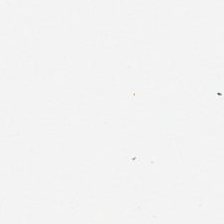224×224 px tile · 0.5 µm/px · H&E stain.
Q: What is shown here?
A: Empty background.
